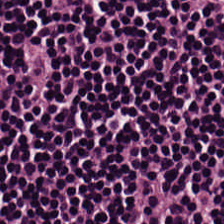H&E — lymphocytic infiltrate.
